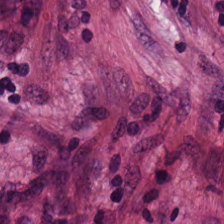FFPE tissue section; hematoxylin and eosin. The tissue type is tumor stroma.
